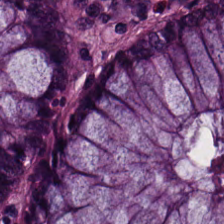H&E-stained tissue section.
Histology → normal colonic mucosa.
